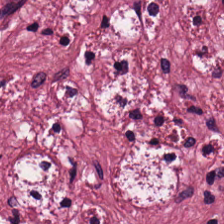Hematoxylin and eosin. 20× equivalent magnification.
This patch shows desmoplastic stroma.
